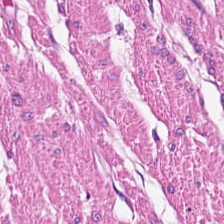Hematoxylin-and-eosin stained section. 224×224 px tile. FFPE tissue section.
Histology → smooth muscle.
